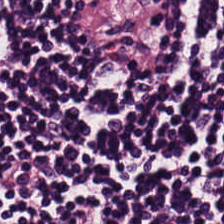Hematoxylin-and-eosin stained section. Q: What is shown in this field?
A: Lymphoid infiltrate.
